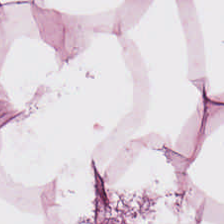H&E.
This patch shows adipose.
